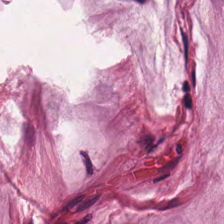Hematoxylin-and-eosin stained section; brightfield microscopy.
Tissue class — mucin.
